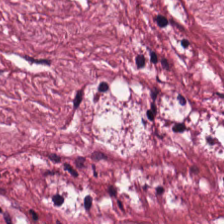FFPE tissue section; H&E.
Q: What does this patch show?
A: It is desmoplastic stroma.
